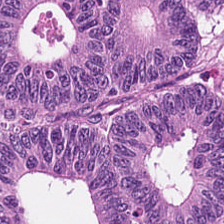Hematoxylin and eosin — Predominantly colorectal adenocarcinoma epithelium.
